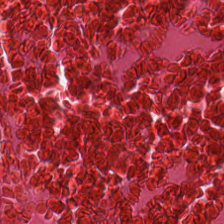H&E stain. Cellular debris.
